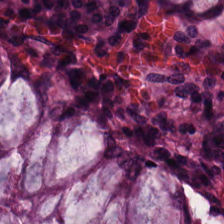Hematoxylin and eosin; brightfield. Q: Classify this patch.
A: This is non-neoplastic colon mucosa.
